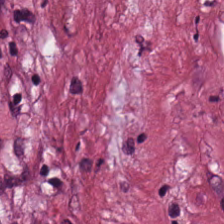Predominantly desmoplastic stroma.
